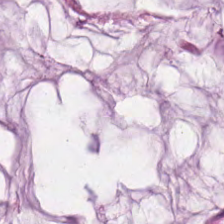Hematoxylin and eosin.
{"tissue_type": "extracellular mucin"}
